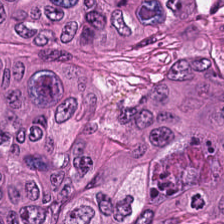Stain: hematoxylin and eosin.
Predominant tissue: adenocarcinoma.
